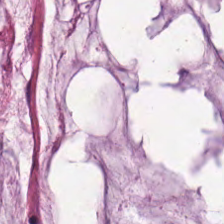Q: What tissue type is shown here?
A: It is extracellular mucin.
